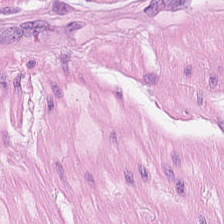H&E stain — Predominant tissue — smooth muscle.
